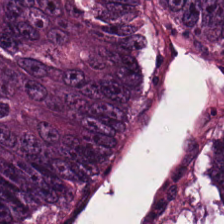H&E-stained tissue section. Q: What does this patch show?
A: The field shows colorectal adenocarcinoma.
